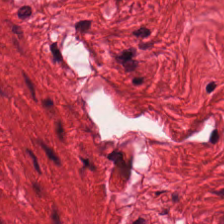224×224 px patch; H&E-stained tissue section — Tissue class — smooth muscle.
